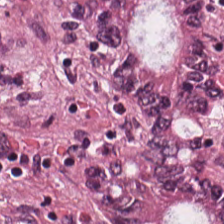H&E. Q: What does this patch show?
A: This is colorectal adenocarcinoma epithelium.
